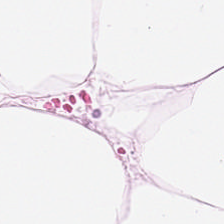H&E.
Predominantly fat tissue.
